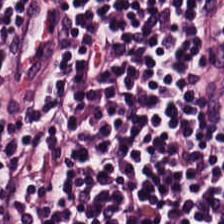Stain: hematoxylin and eosin.
Tile size: 224×224 px tile.
Acquisition: brightfield.
Classification: lymphocytic infiltrate.
